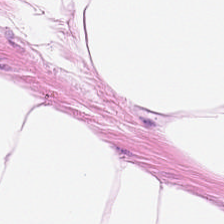Stain: H&E.
Tile size: 224×224 pixel tile.
Classification: fat tissue.
